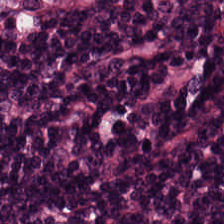H&E stain. Histology → lymphocytes.
